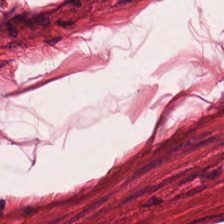WSI patch; hematoxylin and eosin — Predominant tissue = smooth muscle.
